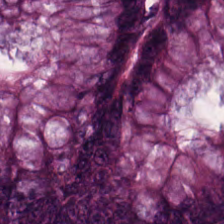H&E-stained tissue section.
Q: Identify the tissue.
A: The field shows normal colon mucosa.
